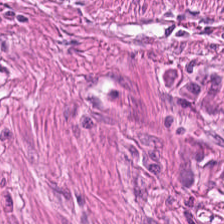Hematoxylin and eosin. Predominantly muscularis.
